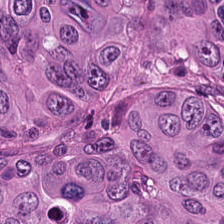H&E-stained tissue section. FFPE.
Q: Identify the tissue.
A: This is malignant epithelium.
